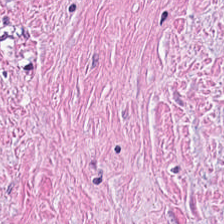H&E — Q: What tissue type is shown here?
A: Cancer-associated stroma.
